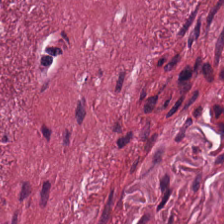Histology — desmoplastic stroma.
